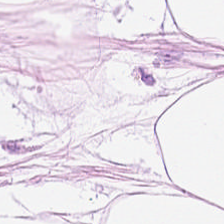0.5 µm per pixel. WSI patch. H&E stain — This patch shows adipose.
